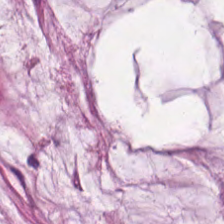Hematoxylin-and-eosin stained section. The tissue class is mucin.
